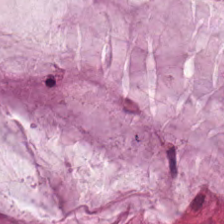Q: What is shown here?
A: The field shows extracellular mucin.
